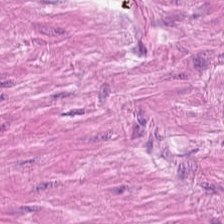Hematoxylin and eosin — {"tissue_type": "smooth muscle"}
